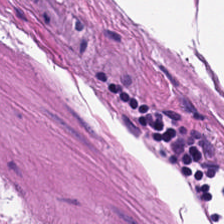Q: Identify the tissue.
A: This is smooth muscle.
